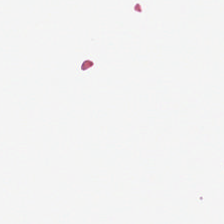Whole-slide-image patch; H&E-stained tissue section.
Q: What is shown in this field?
A: Background.
